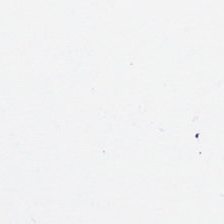H&E-stained tissue section. Classification — no tissue.
